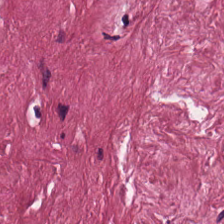H&E-stained tissue section — Q: What tissue is shown?
A: It is tumor stroma.
